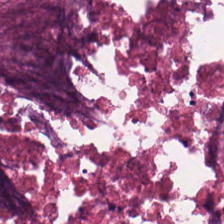Hematoxylin and eosin.
The classification is necrotic debris.
